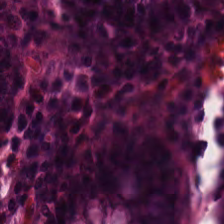Stain: H&E stain.
Classification: normal colon mucosa.
